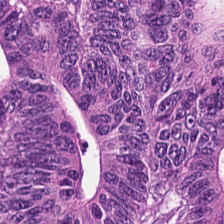Q: What is shown here?
A: Colorectal adenocarcinoma epithelium.
